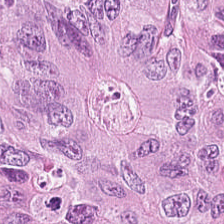H&E stain; FFPE tissue section.
Showing malignant epithelium.
